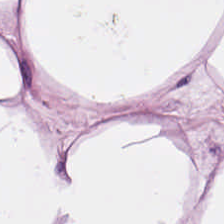H&E-stained tissue section. Predominant tissue = adipocytes.
